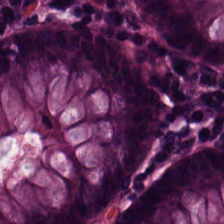0.5 µm per pixel. Hematoxylin and eosin — Predominantly normal colon mucosa.
